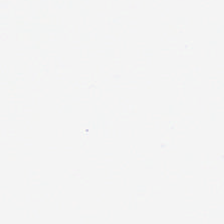H&E — No tissue present; background only.
